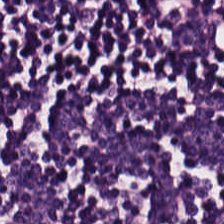Hematoxylin and eosin; FFPE tissue section.
Lymphocytic infiltrate.
